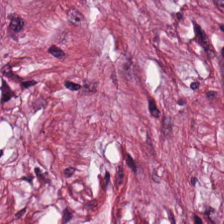Hematoxylin-and-eosin stained section. Tissue class — cancer-associated stroma.
